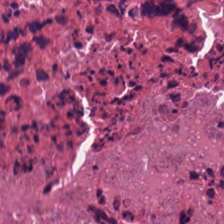Hematoxylin and eosin; 0.5 µm per pixel. The tissue here is necrotic debris.
